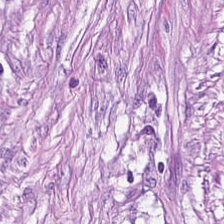Hematoxylin and eosin. Tumor stroma.
